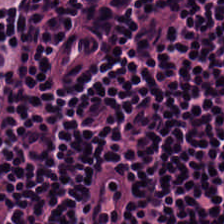Hematoxylin-and-eosin stained section · FFPE tissue section.
The tissue class is lymphocytes.
